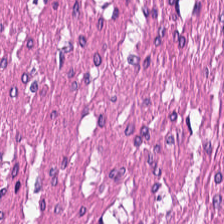Stain: hematoxylin-and-eosin stained section.
Tile size: 224×224 px tile.
Resolution: 0.5 microns per pixel.
Predominant tissue: smooth muscle.
